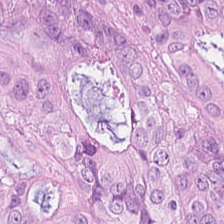FFPE tissue section. Hematoxylin and eosin — The tissue is colorectal adenocarcinoma epithelium.
